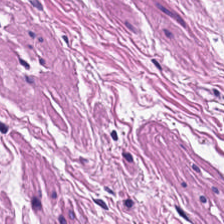FFPE tissue section; H&E-stained tissue section; 224×224 px tile — Predominantly muscularis.
